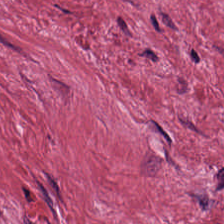H&E. This field is tumor-associated stroma.
